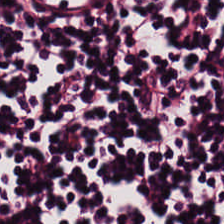H&E. Showing lymphocytic infiltrate.
